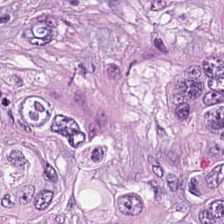Hematoxylin-and-eosin stained section.
Tissue class = colorectal adenocarcinoma.
